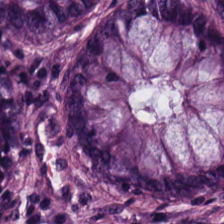H&E stain.
Finding → normal colonic mucosa.
